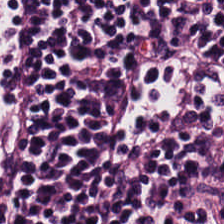Whole-slide-image patch · H&E-stained tissue section · 224×224 px patch.
Tissue class — lymphocytic infiltrate.
